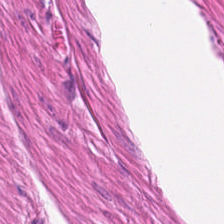H&E stain — This field is smooth muscle.
